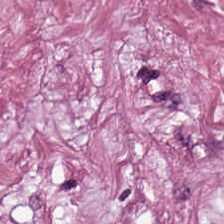Whole-slide-image patch. Hematoxylin-and-eosin stained section — Classification: desmoplastic stroma.
